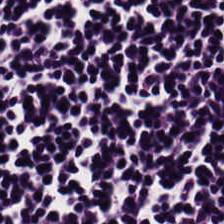Classification = lymphocytic infiltrate.
